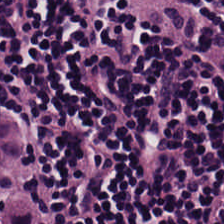Hematoxylin and eosin. This patch shows lymphocytes.
